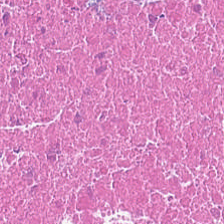Hematoxylin-and-eosin stained section; whole-slide-image patch. Classification — debris.
